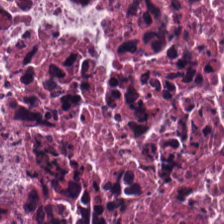H&E-stained tissue section — Q: What tissue is shown?
A: It is debris.
